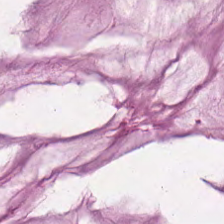Hematoxylin and eosin.
Tissue — extracellular mucin.
